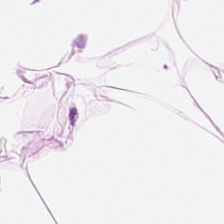{"tissue_type": "adipose"}
